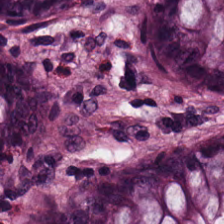H&E; 0.5 µm/px — Impression → non-neoplastic colon mucosa.
